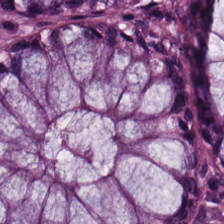Showing normal colon mucosa.
